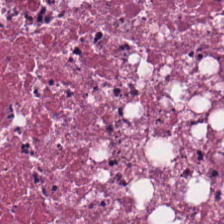0.5 µm/px · hematoxylin-and-eosin stained section — The predominant tissue is debris.
